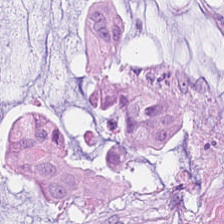H&E · 0.5 µm per pixel — The tissue is extracellular mucin.
